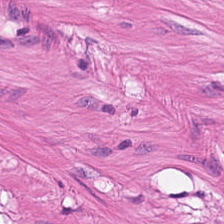Q: What tissue is shown?
A: Smooth muscle.
